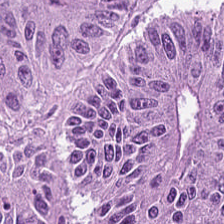H&E stain.
This patch shows tumor epithelium.
